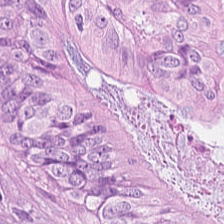H&E-stained tissue section.
The predominant tissue is malignant epithelium.
